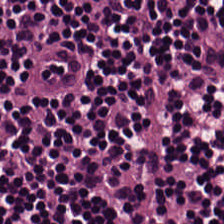Hematoxylin and eosin · brightfield microscopy · FFPE — Predominant tissue: lymphocytes.
